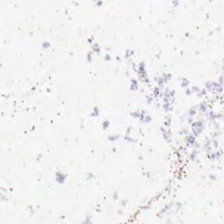Hematoxylin and eosin; brightfield microscopy; 224×224 px tile. No tissue present; background only.
